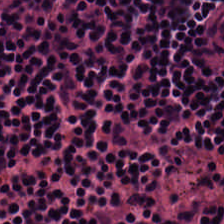Q: What type of tissue is this?
A: It is lymphocytic infiltrate.
